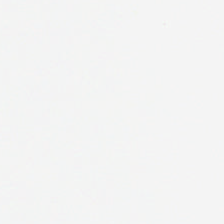H&E.
Empty field — empty background.
